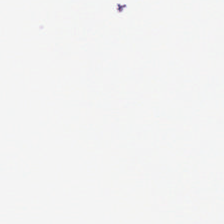Whole-slide-image patch; 0.5 µm per pixel; hematoxylin and eosin.
Q: What is shown here?
A: This is no tissue.
